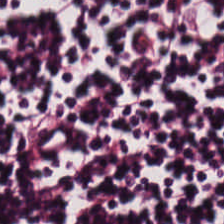Impression — lymphocyte aggregate.
